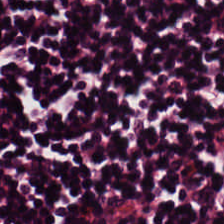Hematoxylin-and-eosin stained section.
The tissue class is lymphocyte aggregate.
